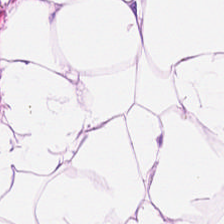Classification: fat tissue.
